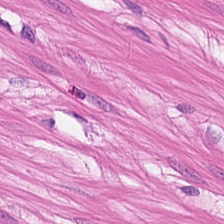224×224 px patch · hematoxylin-and-eosin stained section · 0.5 µm/px. Q: What tissue type is shown here?
A: The field shows muscularis.
